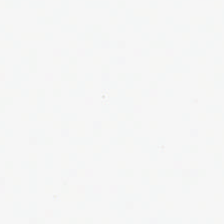Formalin-fixed paraffin-embedded section; H&E — {"content": "empty background"}
